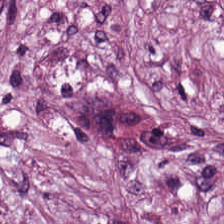The classification is desmoplastic stroma.
